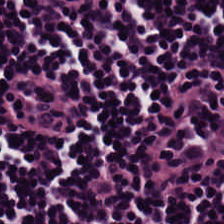H&E-stained tissue section — Q: What is the predominant tissue type?
A: This is lymphocytic infiltrate.
